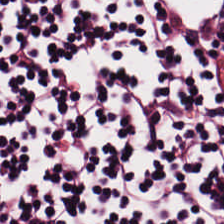Q: What tissue is shown?
A: It is lymphocytes.
